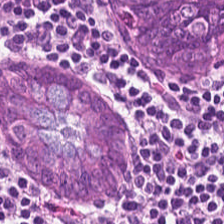Q: Identify the tissue.
A: Benign colonic mucosa.
